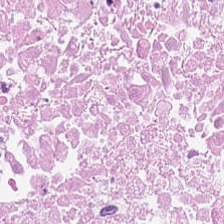20× equivalent magnification; hematoxylin and eosin.
Predominantly debris.
